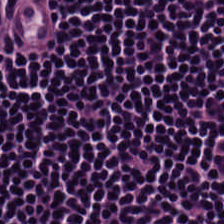The classification is lymphocytes.
